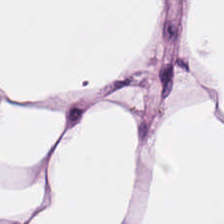Hematoxylin and eosin; WSI patch — This patch shows fat tissue.
